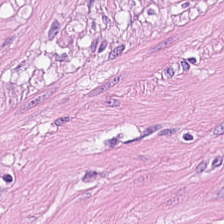Predominantly smooth-muscle tissue.
